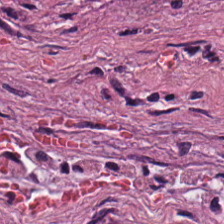Hematoxylin-and-eosin stained section. Finding → cancer-associated stroma.
